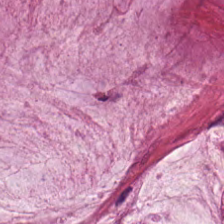Hematoxylin and eosin.
The tissue here is mucus.
